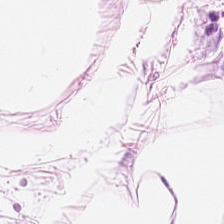FFPE; hematoxylin and eosin — Adipose.
